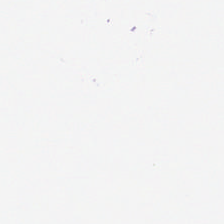H&E stain · 0.5 µm/px · FFPE — This patch shows no tissue.
